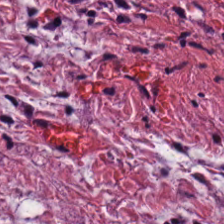Hematoxylin and eosin · 224×224 px patch — Classification: desmoplastic stroma.
